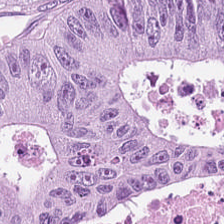Adenocarcinoma.
